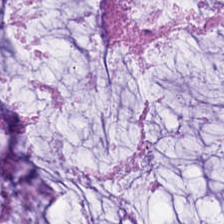Q: What is shown in this field?
A: This is mucus.
